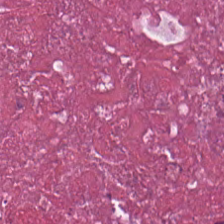FFPE tissue section; H&E-stained tissue section.
Finding — debris.
